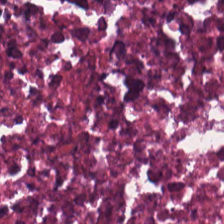Hematoxylin-and-eosin stained section. The predominant tissue is cellular debris.
